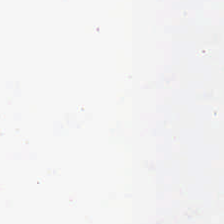Stain: H&E.
Acquisition: whole-slide-image patch.
Field content: background (no tissue).
